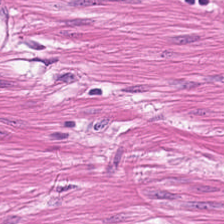H&E — The tissue here is smooth muscle.
